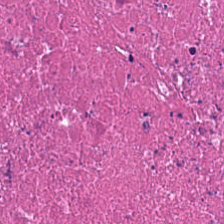Hematoxylin and eosin; brightfield microscopy; 0.5 microns per pixel — The predominant tissue is cellular debris.
